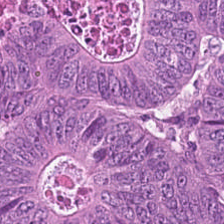Whole-slide-image patch. Hematoxylin-and-eosin stained section. Histology → colorectal adenocarcinoma.
